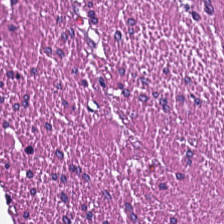224×224 px tile. Hematoxylin and eosin. Tissue class: smooth-muscle tissue.
